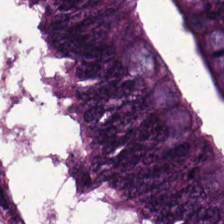H&E-stained tissue section — Showing tumor epithelium.
